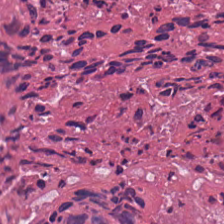Stain: H&E-stained tissue section.
Tissue: necrotic debris.
